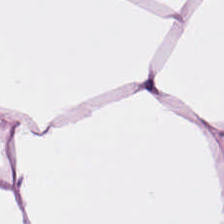Predominant tissue: adipocytes.
